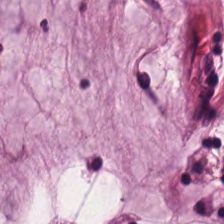Hematoxylin-and-eosin section: mucin.
